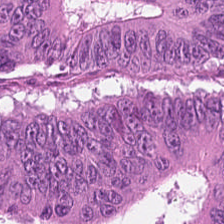Q: What tissue is shown?
A: It is adenocarcinoma.
